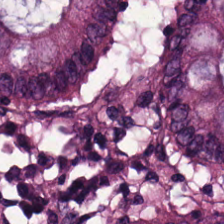H&E; 0.5 µm/px.
Tissue type — normal colon mucosa.
